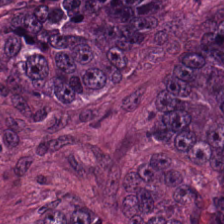WSI patch; hematoxylin-and-eosin stained section. This patch shows adenocarcinoma.
